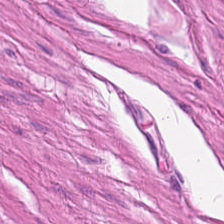H&E-stained section; the field shows muscularis.
